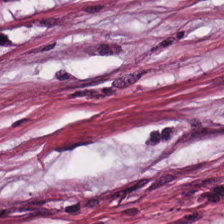Hematoxylin-and-eosin stained section. Formalin-fixed paraffin-embedded section.
Showing tumor stroma.
